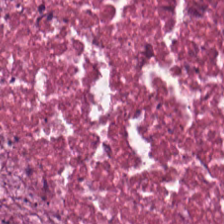Hematoxylin and eosin; formalin-fixed paraffin-embedded section; brightfield microscopy. Impression — necrotic debris.
